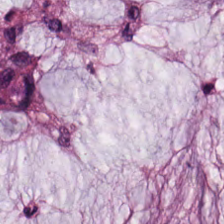Q: What type of tissue is this?
A: It is mucus.
